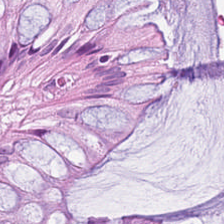224×224 px patch; H&E; 0.5 µm per pixel — Classification: non-neoplastic colon mucosa.
